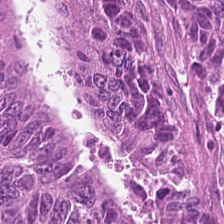H&E stain. Predominantly malignant epithelium.
